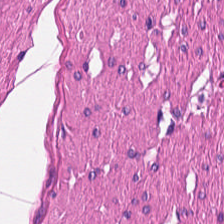Stain: hematoxylin-and-eosin stained section.
Classification: smooth muscle.
